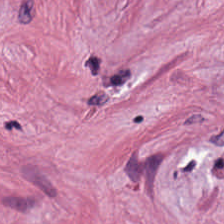H&E stain — The tissue here is cancer-associated stroma.
